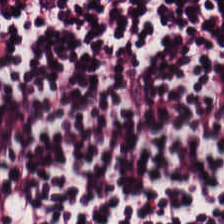H&E-stained tissue section · FFPE tissue section.
Tissue: lymphocyte aggregate.
